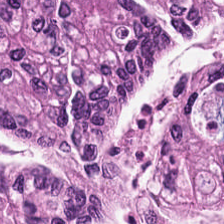Tumor epithelium.
